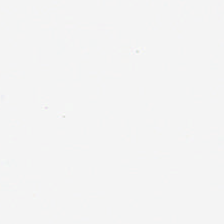Hematoxylin-and-eosin stained section; brightfield microscopy.
Empty background.
